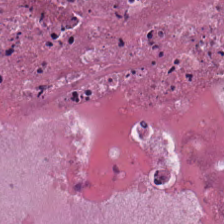Hematoxylin and eosin — Predominantly debris.
